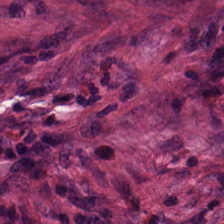Hematoxylin-and-eosin stained section. Q: What does this patch show?
A: This is tumor-associated stroma.
